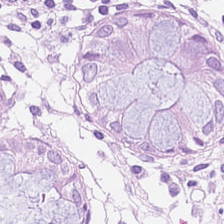Classification — normal colonic mucosa.
